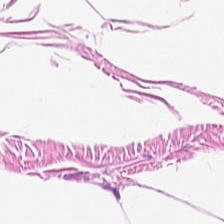Stain: hematoxylin-and-eosin stained section.
Tissue class: adipose tissue.
